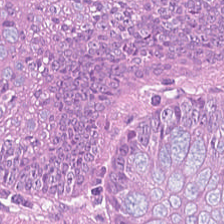H&E-stained tissue section. Q: What is shown here?
A: It is malignant epithelium.
